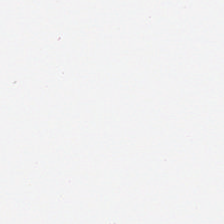224×224 px patch; hematoxylin-and-eosin stained section — Content — no tissue.
